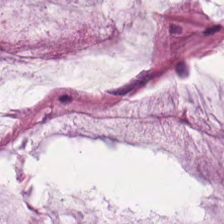FFPE tissue section. H&E — The tissue type is extracellular mucin.
